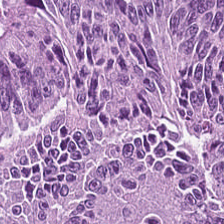Hematoxylin-and-eosin stained section — Finding — adenocarcinoma.
